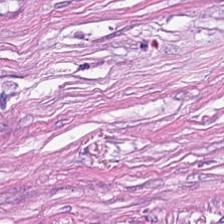{"tissue_type": "desmoplastic stroma"}
